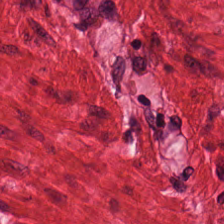H&E-stained tissue section. 0.5 µm/px. 224×224 px patch.
Predominantly muscularis.
